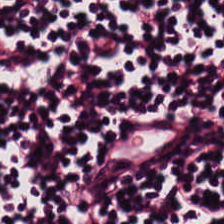Whole-slide-image patch; H&E — This field is lymphocytes.
